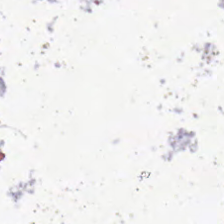H&E stain — Classification: no tissue.
